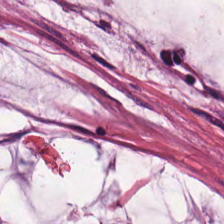0.5 µm per pixel; FFPE; H&E stain. Q: Classify this patch.
A: Mucus.
